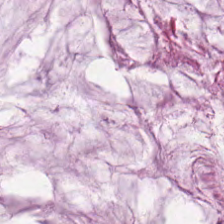Tissue = mucin.
